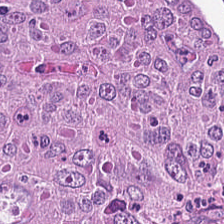H&E stain; FFPE tissue section — Malignant epithelium.
